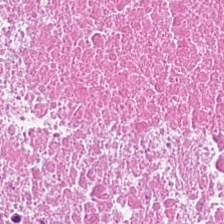Predominant tissue = necrotic debris.
